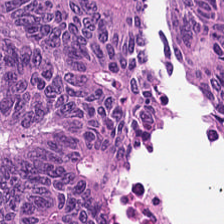H&E-stained tissue section.
Q: What tissue type is shown here?
A: Colorectal adenocarcinoma epithelium.
